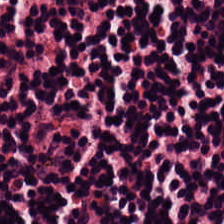Hematoxylin-and-eosin stained section.
Tissue class = lymphocyte aggregate.
